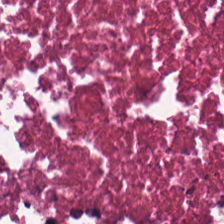0.5 microns per pixel; H&E-stained tissue section; brightfield — This patch shows necrotic debris.
